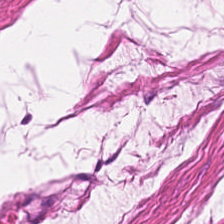Stain: H&E.
Tissue type: smooth-muscle tissue.
